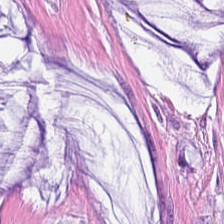H&E-stained tissue section · 224×224 px patch. The tissue here is mucin.
